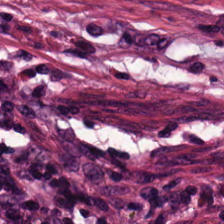Brightfield · H&E stain · 224×224 px tile.
Histology → cancer-associated stroma.
